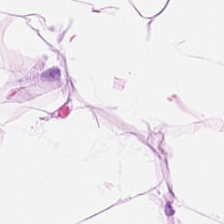Predominant tissue: adipocytes.
